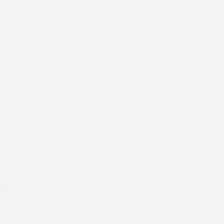Hematoxylin-and-eosin stained section. FFPE. 224×224 px patch — Background — no tissue in this field.
